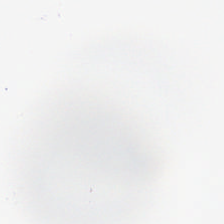Hematoxylin and eosin.
{"content": "background"}
